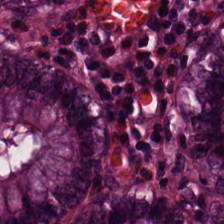H&E-stained tissue section. Showing benign colonic mucosa.
